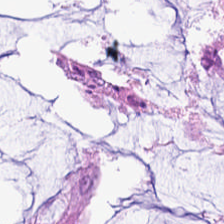Hematoxylin and eosin — Normal colonic mucosa.
